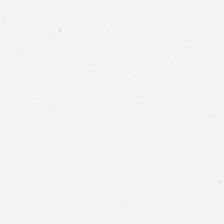H&E · FFPE tissue section · 224×224 px patch.
Q: What is shown here?
A: Empty background.
